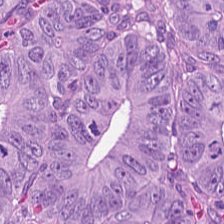Formalin-fixed paraffin-embedded section · H&E-stained tissue section.
This field is colorectal adenocarcinoma.
